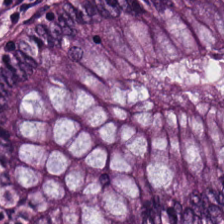Impression → non-neoplastic colon mucosa.
